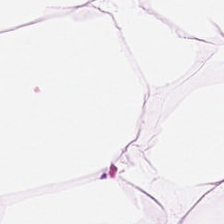H&E. This patch shows adipose tissue.
